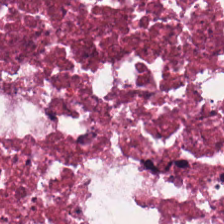H&E — The predominant tissue is debris.
